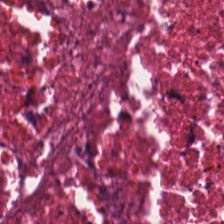H&E stain — Cellular debris.
